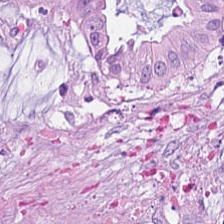H&E stain · formalin-fixed paraffin-embedded section. Q: Classify this patch.
A: It is mucin.
